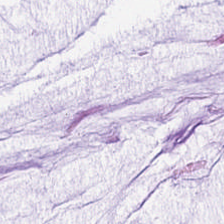H&E stain.
Showing mucin.
